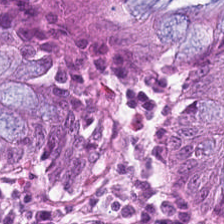224×224 px tile. H&E-stained tissue section. This field is normal colon mucosa.
